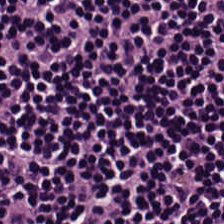H&E.
Predominantly lymphocytic infiltrate.
